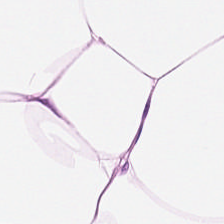Hematoxylin and eosin. Q: What type of tissue is this?
A: It is adipose.
